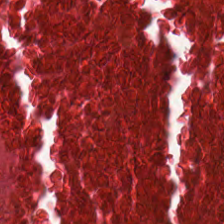H&E stain. Showing cellular debris.
